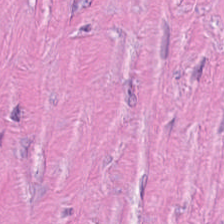Q: What is shown here?
A: The field shows cancer-associated stroma.
